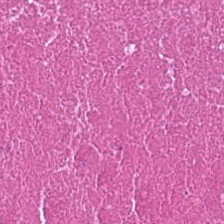Hematoxylin and eosin. Necrotic debris.
